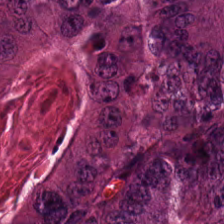Stain: H&E-stained tissue section.
Preparation: FFPE tissue section.
Tissue: adenocarcinoma.
